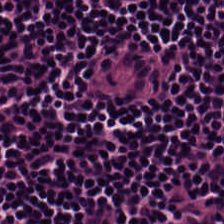0.5 µm per pixel; FFPE; H&E.
This field is lymphoid infiltrate.
